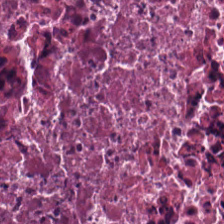H&E · WSI patch. The predominant tissue is cellular debris.
